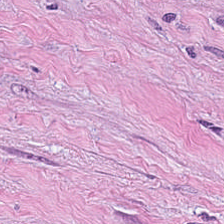H&E.
Tissue type — desmoplastic stroma.
